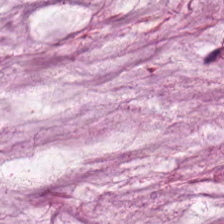Hematoxylin and eosin. 0.5 µm/px.
This field is mucus.
